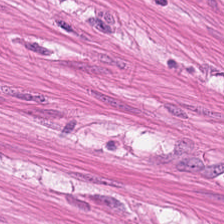H&E-stained tissue section. 0.5 microns per pixel — This field is smooth muscle.
